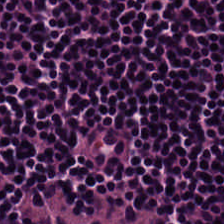Tissue class = lymphoid infiltrate.
